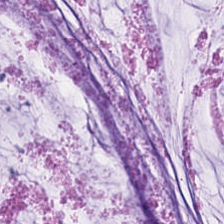H&E-stained tissue section.
Q: Identify the tissue.
A: The field shows mucus.
